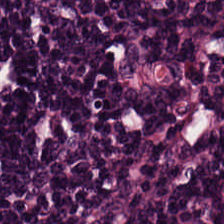H&E stain. 224×224 pixel tile. Predominantly lymphoid infiltrate.
